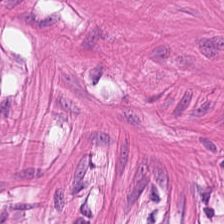Hematoxylin and eosin; FFPE. Impression → muscularis.
